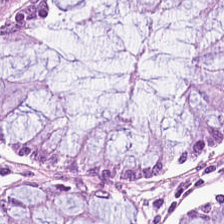Hematoxylin and eosin. This patch shows normal colon mucosa.
